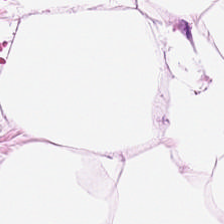H&E — The tissue type is adipocytes.
